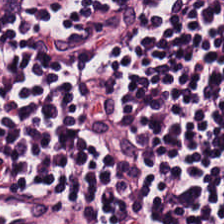H&E-stained tissue section.
Tissue class: lymphocytes.
